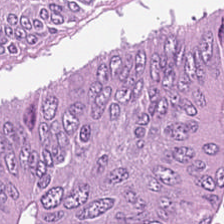Q: What is the predominant tissue type?
A: Colorectal adenocarcinoma epithelium.
